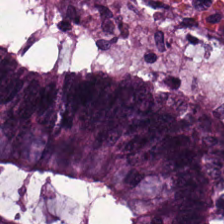Hematoxylin-and-eosin stained section. Brightfield microscopy. FFPE.
The classification is malignant epithelium.
